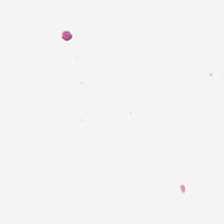0.5 µm/px; H&E.
{"content": "background (no tissue)"}
